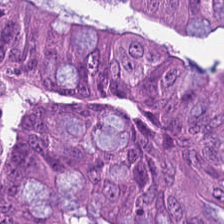The tissue here is malignant epithelium.
